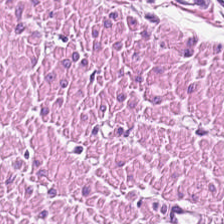H&E stain. Classification — muscularis.
